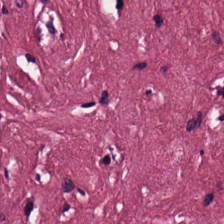Tissue class: tumor-associated stroma.
